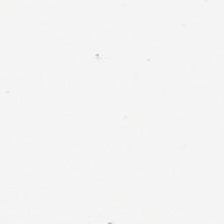Hematoxylin-and-eosin stained section — Q: Classify this patch.
A: It is background.
